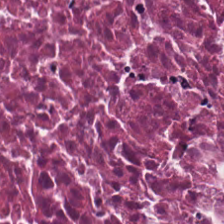This field is debris.
